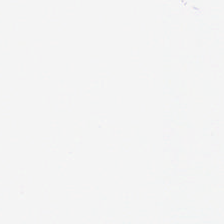Background — no tissue in this field.
